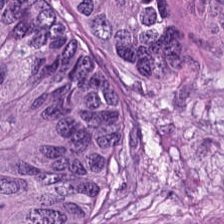Q: Identify the tissue.
A: This is tumor epithelium.
